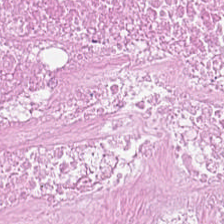Hematoxylin-and-eosin stained section · 0.5 µm/px · formalin-fixed paraffin-embedded section — Finding — cellular debris.
